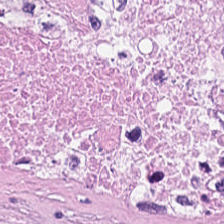Whole-slide-image patch; hematoxylin and eosin.
{"tissue_type": "cellular debris"}
